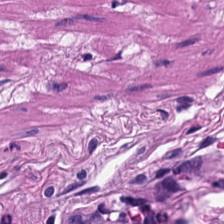FFPE tissue section · H&E-stained tissue section · 224×224 px tile.
The predominant tissue is smooth muscle.
